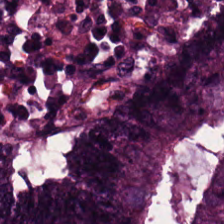Hematoxylin-and-eosin stained section. Q: What is shown in this field?
A: It is colorectal adenocarcinoma epithelium.
